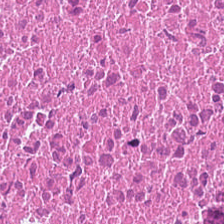Whole-slide-image patch; H&E stain. Q: What does this patch show?
A: This is debris.
